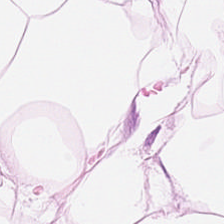Hematoxylin-and-eosin stained section. The predominant tissue is adipocytes.
